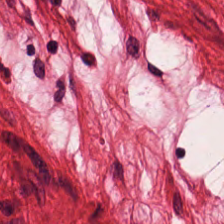H&E stain — The predominant tissue is smooth muscle.
